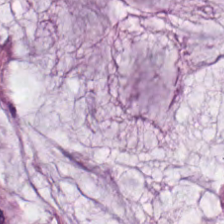Classification = extracellular mucin.
